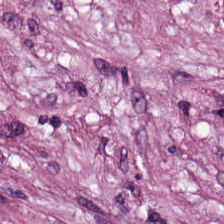FFPE tissue section. Hematoxylin-and-eosin stained section.
Tissue class — cancer-associated stroma.
